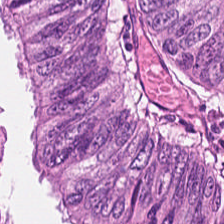Malignant epithelium.
